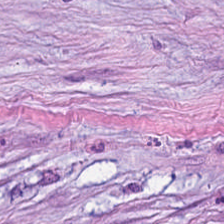Impression — tumor-associated stroma.
